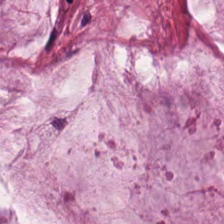Hematoxylin-and-eosin stained section — The predominant tissue is mucin.
